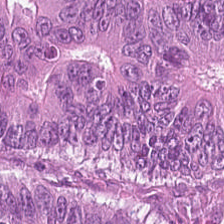0.5 µm per pixel. Brightfield. H&E stain.
The predominant tissue is colorectal adenocarcinoma epithelium.
